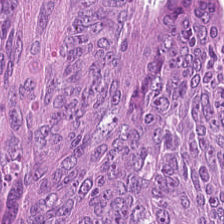Brightfield; H&E-stained tissue section; 224×224 pixel tile. The predominant tissue is colorectal adenocarcinoma.
